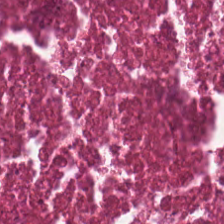H&E. 0.5 µm per pixel. Showing debris.
